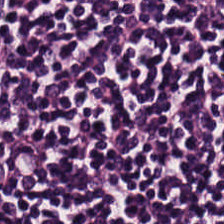FFPE · hematoxylin and eosin. The tissue here is lymphocyte aggregate.
